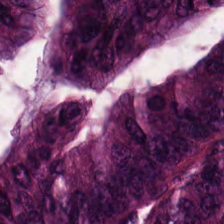20× equivalent magnification · H&E-stained tissue section. Showing colorectal adenocarcinoma.
